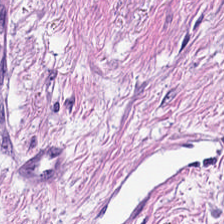Stain: H&E stain.
Tile size: 224×224 pixel tile.
Predominant tissue: smooth muscle.
